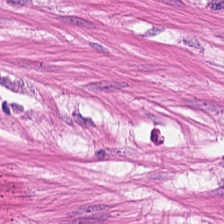This patch shows muscularis.
